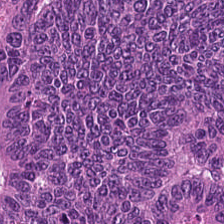Formalin-fixed paraffin-embedded section; H&E stain; 224×224 pixel tile.
This field is adenocarcinoma.
